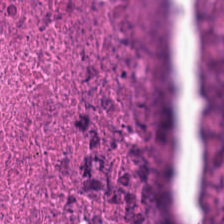H&E-stained tissue section — Tissue type — debris.
